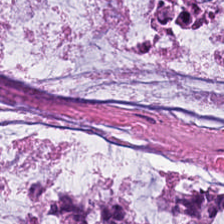Hematoxylin-and-eosin stained section. The tissue is mucin.
